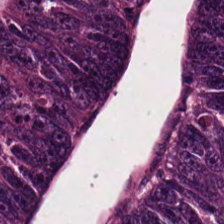Stain: H&E.
Predominant tissue: adenocarcinoma.
